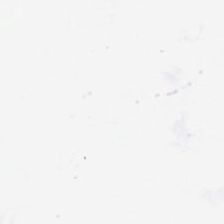H&E. 0.5 µm/px. Impression — background (no tissue).
